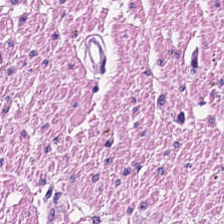FFPE; H&E.
Showing smooth-muscle tissue.
